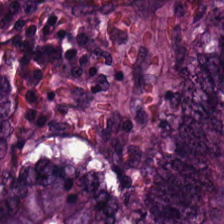{"tissue_type": "colorectal adenocarcinoma"}
